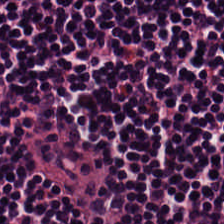This patch shows lymphoid infiltrate.
